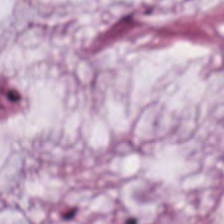Stain: hematoxylin-and-eosin stained section.
Tissue class: extracellular mucin.
